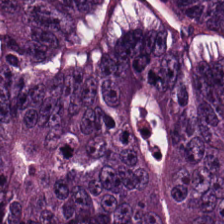H&E stain.
The predominant tissue is adenocarcinoma.
